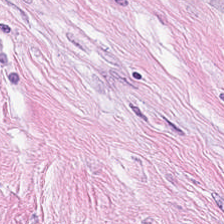Stain: H&E-stained tissue section.
Tissue class: tumor-associated stroma.
